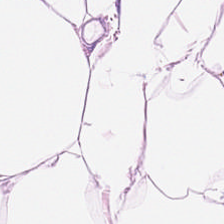Impression — adipose tissue.
